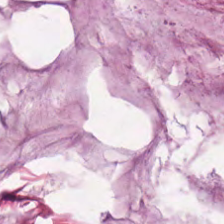Hematoxylin-and-eosin stained section. The tissue here is mucin.
